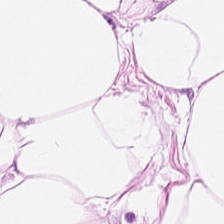H&E-stained tissue section.
Q: Identify the tissue.
A: Adipose.
